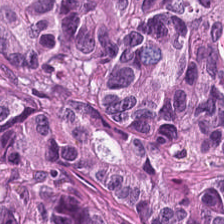0.5 µm/px. H&E.
Tissue: tumor epithelium.
